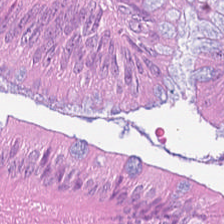H&E-stained tissue section.
The classification is colorectal adenocarcinoma epithelium.
